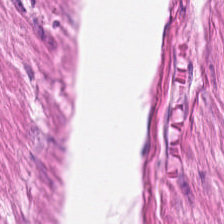Stain: H&E-stained tissue section.
Predominant tissue: smooth muscle.
